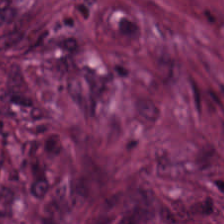Whole-slide-image patch; hematoxylin-and-eosin stained section; 0.5 µm per pixel — The predominant tissue is desmoplastic stroma.
